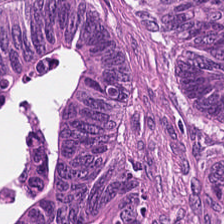H&E.
Tissue — malignant epithelium.
